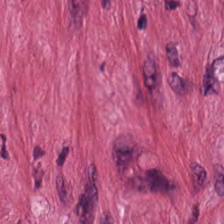This patch shows tumor-associated stroma.
